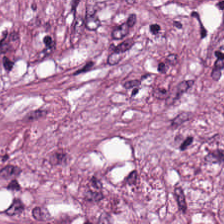H&E-stained tissue section — {"tissue_type": "cancer-associated stroma"}
